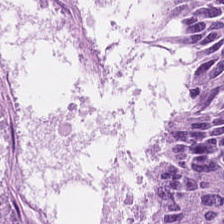Hematoxylin-and-eosin section: colorectal adenocarcinoma epithelium.
